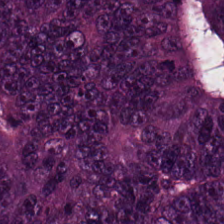Tissue class — malignant epithelium.
